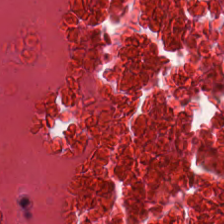Stain: hematoxylin and eosin.
Tissue class: debris.
